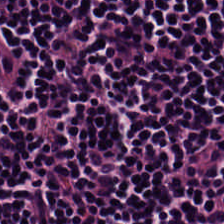Tissue: lymphocytic infiltrate.
